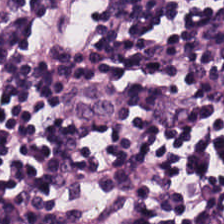H&E stain; 224×224 pixel tile. Predominant tissue: lymphocytic infiltrate.
